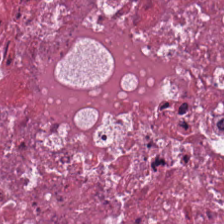Hematoxylin and eosin. FFPE tissue section. The tissue is cellular debris.
